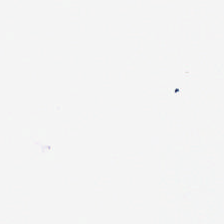Q: What is shown in this field?
A: This is background.
